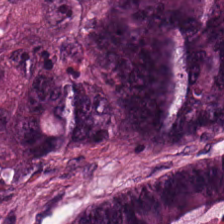FFPE tissue section; H&E stain. The tissue here is tumor epithelium.
